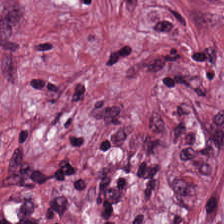H&E-stained tissue section — Predominantly tumor-associated stroma.
